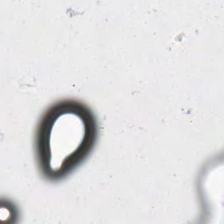0.5 µm per pixel · 224×224 pixel tile · H&E-stained tissue section — Classification — empty background.
